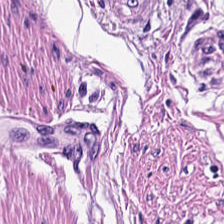Classification = smooth muscle.
